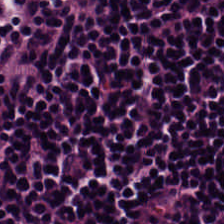Q: What type of tissue is this?
A: The field shows lymphocytes.
